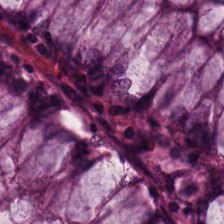H&E-stained tissue section. This field is normal colon mucosa.
